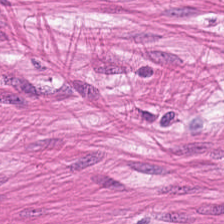H&E-stained tissue section.
Q: What is the predominant tissue type?
A: The field shows muscularis.
